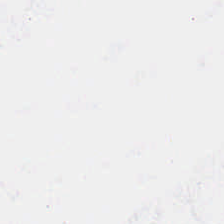This patch shows empty background.
